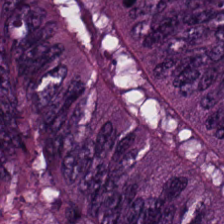FFPE. H&E stain. Impression — adenocarcinoma.
